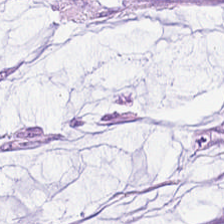H&E stain.
Finding — mucus.
